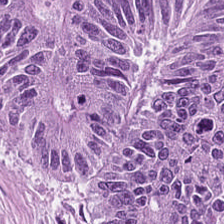H&E — Showing colorectal adenocarcinoma.
